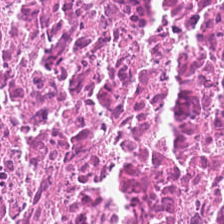Whole-slide-image patch · H&E · FFPE tissue section.
Q: What does this patch show?
A: The field shows necrotic debris.
